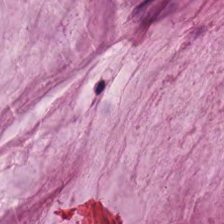H&E stain.
The predominant tissue is extracellular mucin.
